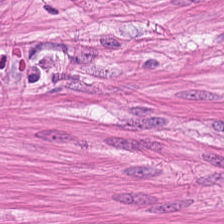224×224 px tile. H&E. This patch shows smooth muscle.
